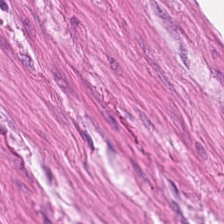The tissue class is smooth-muscle tissue.
